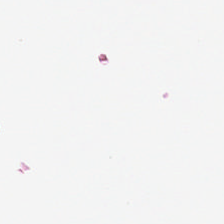Stain: hematoxylin and eosin.
Acquisition: brightfield microscopy.
Content: background.
